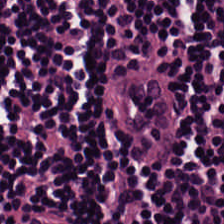Histology — lymphoid infiltrate.
